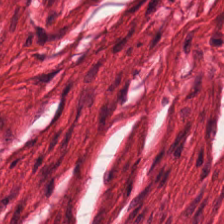Hematoxylin and eosin. FFPE tissue section.
Showing muscularis.
